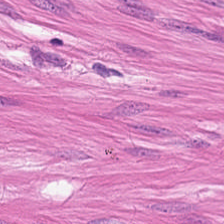H&E-stained tissue section; brightfield microscopy.
This field is muscularis.
